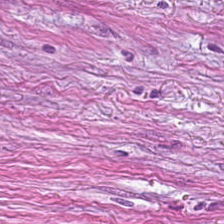0.5 µm/px. Hematoxylin-and-eosin stained section. This field is cancer-associated stroma.
